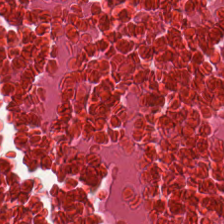Hematoxylin-and-eosin stained section. 224×224 px tile. This field is debris.
